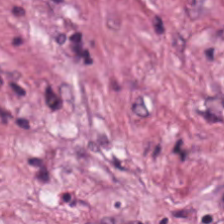Formalin-fixed paraffin-embedded section; H&E; 0.5 µm/px.
Showing tumor-associated stroma.
